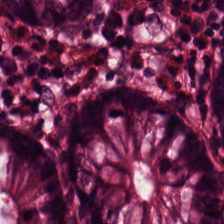Finding → benign colonic mucosa.
